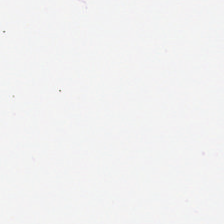H&E-stained tissue section · 0.5 microns per pixel — Empty field — background.
